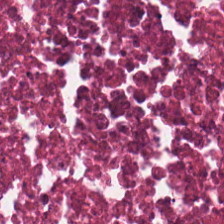H&E.
Q: What is shown in this field?
A: The field shows cellular debris.
